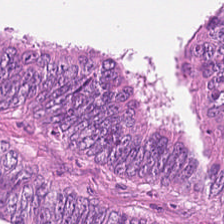0.5 microns per pixel; H&E stain; brightfield microscopy.
This patch shows colorectal adenocarcinoma epithelium.
